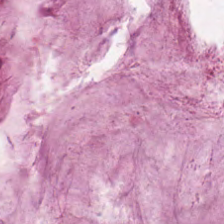Hematoxylin and eosin.
Tissue class — mucin.
